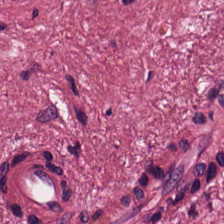Hematoxylin-and-eosin section: cancer-associated stroma.
